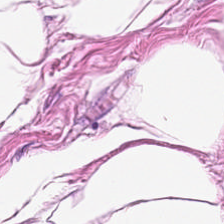FFPE tissue section; H&E stain.
This field is fat tissue.
